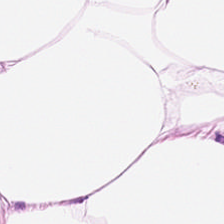Hematoxylin-and-eosin stained section · 0.5 µm per pixel · 224×224 px patch. This field is adipose tissue.
